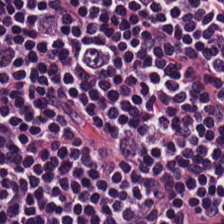H&E-stained tissue section — Predominant tissue = lymphoid infiltrate.
